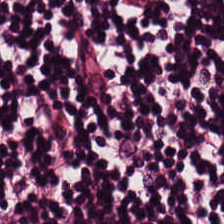H&E-stained tissue section; brightfield. Tissue: lymphoid infiltrate.
